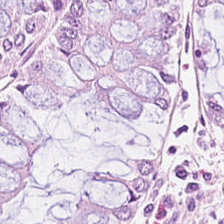H&E stain. 224×224 px patch — Predominantly benign colonic mucosa.
